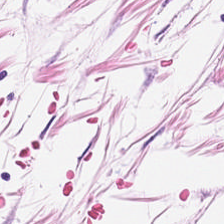Hematoxylin-and-eosin section: adipose tissue.
